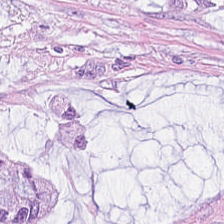H&E · 20× equivalent magnification. The tissue here is extracellular mucin.
